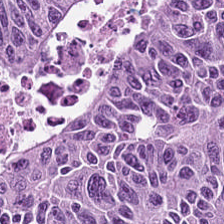H&E-stained tissue section showing malignant epithelium.
